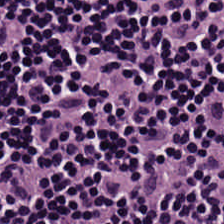H&E-stained tissue section.
Classification — lymphocyte aggregate.
